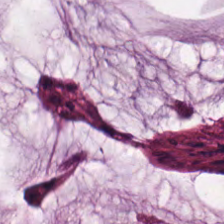Hematoxylin-and-eosin stained section. Tissue: mucin.
